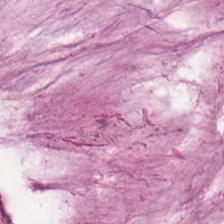Q: What tissue is shown?
A: The field shows mucin.
